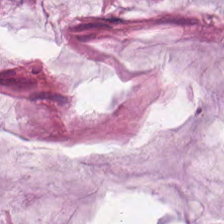H&E-stained tissue section. Q: What tissue is shown?
A: This is mucin.
